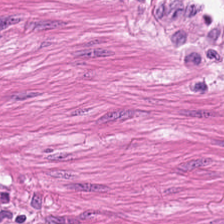Hematoxylin-and-eosin stained section; 224×224 px tile. {"tissue_type": "smooth-muscle tissue"}
